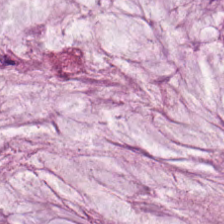H&E stain — Histology — mucin.
